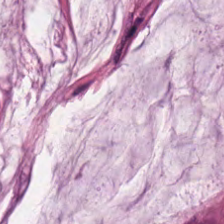224×224 px tile · FFPE · hematoxylin-and-eosin stained section.
Tissue = mucin.
